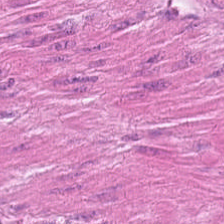Stain: H&E-stained tissue section.
Tissue type: smooth-muscle tissue.
